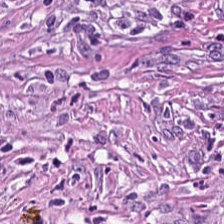Stain: H&E stain.
Acquisition: brightfield microscopy.
Tissue: desmoplastic stroma.
